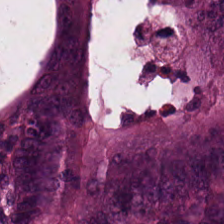224×224 px patch; H&E-stained tissue section. {"tissue_type": "tumor epithelium"}
